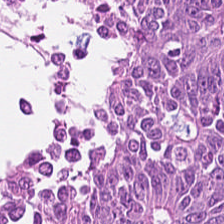Predominantly colorectal adenocarcinoma.
